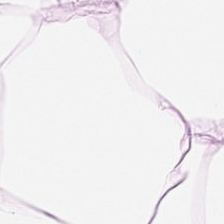H&E. Tissue = fat tissue.
